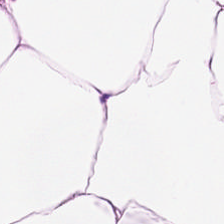224×224 px tile. Whole-slide-image patch. Hematoxylin and eosin — Classification — adipose.
